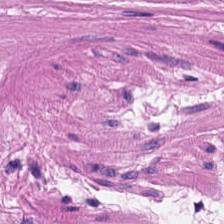Predominantly smooth muscle.
